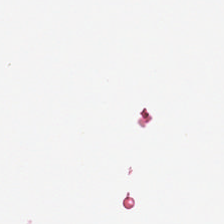Hematoxylin-and-eosin stained section. Formalin-fixed paraffin-embedded section.
Field content: background.
